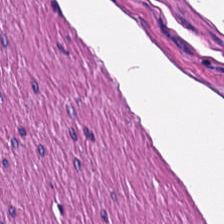H&E — smooth-muscle tissue.
